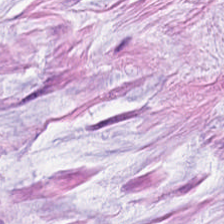Hematoxylin-and-eosin stained section.
Extracellular mucin.
